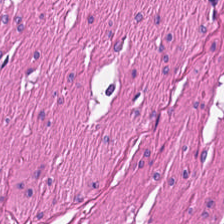224×224 pixel tile · FFPE tissue section · H&E. This patch shows smooth-muscle tissue.
